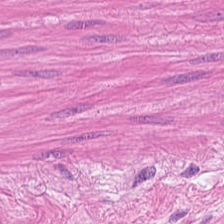H&E stain — Predominantly smooth-muscle tissue.
